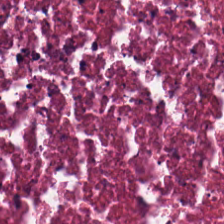H&E — Histology → necrotic debris.
